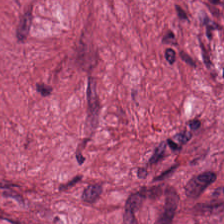Stain: H&E.
Acquisition: WSI patch.
Tissue type: desmoplastic stroma.
